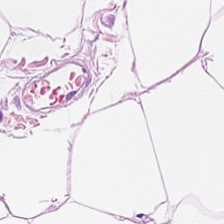0.5 microns per pixel; hematoxylin and eosin.
This field is adipose tissue.
